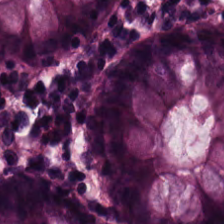H&E; FFPE tissue section; brightfield — This patch shows normal colonic mucosa.
